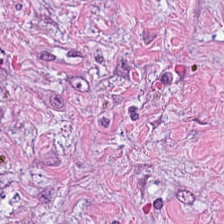Tissue class: cancer-associated stroma.
